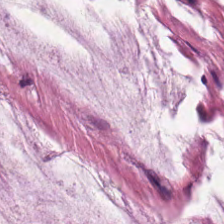Stain: H&E stain.
Resolution: 0.5 µm/px.
Tissue class: extracellular mucin.
